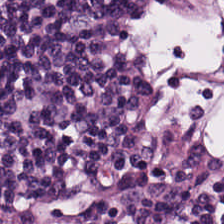This field is lymphocyte aggregate.
